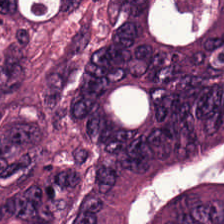FFPE. H&E stain. 224×224 px tile.
Showing tumor epithelium.
